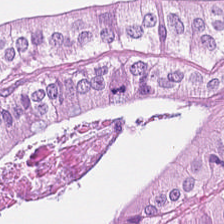H&E-stained tissue section — Tissue: colorectal adenocarcinoma epithelium.
